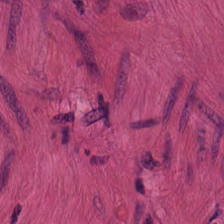FFPE · hematoxylin-and-eosin stained section · 20× equivalent magnification — Showing muscularis.
